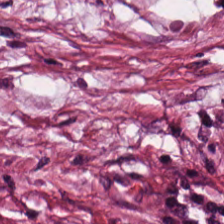H&E. Q: What tissue is shown?
A: It is cancer-associated stroma.
